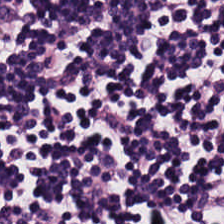H&E stain.
Finding → lymphocytes.
